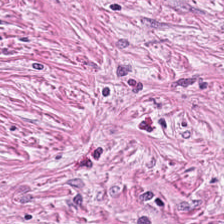H&E. The classification is cancer-associated stroma.
